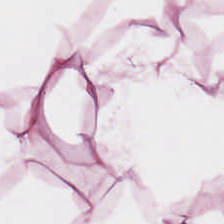Hematoxylin and eosin.
Impression → adipocytes.
